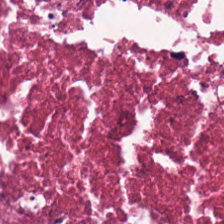WSI patch; H&E; 224×224 px patch. Debris.
